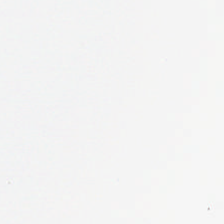H&E — No tissue present; background only.
